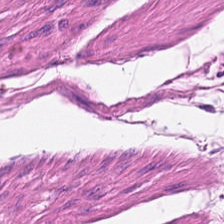Stain: H&E stain.
Preparation: formalin-fixed paraffin-embedded section.
Tissue: smooth-muscle tissue.
